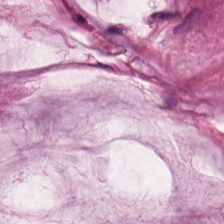H&E. Tissue type — extracellular mucin.
